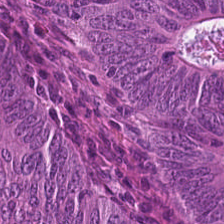Hematoxylin and eosin. Q: What is shown here?
A: It is malignant epithelium.
